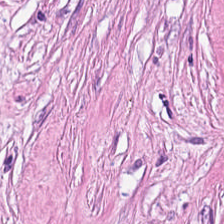0.5 microns per pixel · H&E stain. The tissue here is cancer-associated stroma.
